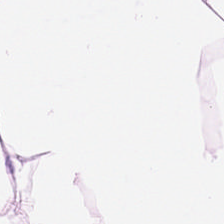224×224 px patch · H&E.
Q: Identify the tissue.
A: This is fat tissue.
